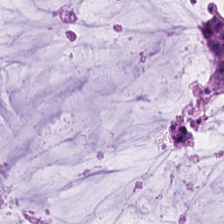Formalin-fixed paraffin-embedded section; H&E-stained tissue section; brightfield microscopy. The tissue class is extracellular mucin.
